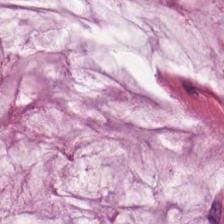Whole-slide-image patch · hematoxylin-and-eosin stained section — The predominant tissue is extracellular mucin.
